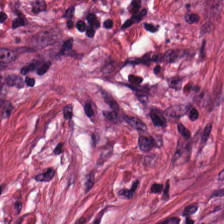FFPE tissue section. Hematoxylin-and-eosin stained section — Q: What is shown here?
A: This is desmoplastic stroma.
